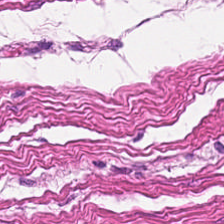H&E-stained tissue section.
Finding — smooth muscle.
